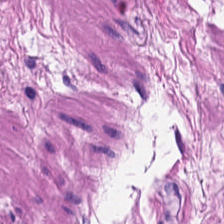H&E. 224×224 px tile. Whole-slide-image patch — Tissue = smooth-muscle tissue.
